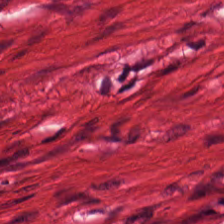Hematoxylin-and-eosin stained section — Tissue — smooth-muscle tissue.
